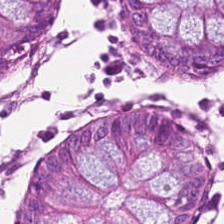Hematoxylin-and-eosin stained section · 224×224 px tile.
Q: Identify the tissue.
A: It is normal colon mucosa.
